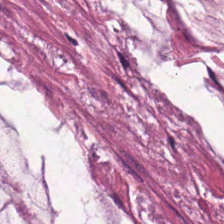Formalin-fixed paraffin-embedded section · H&E-stained tissue section — The predominant tissue is mucin.
